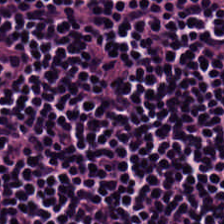Whole-slide-image patch · 224×224 px patch · hematoxylin-and-eosin stained section — Histology → lymphoid infiltrate.
